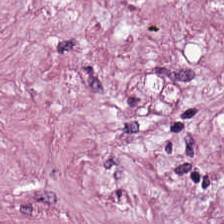Stain: hematoxylin-and-eosin stained section.
Tissue: tumor-associated stroma.
